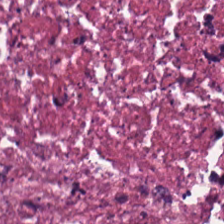0.5 µm per pixel; hematoxylin and eosin — This field is necrotic debris.
